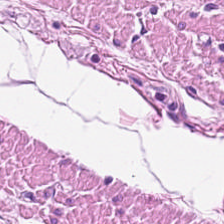Stain: hematoxylin-and-eosin stained section.
Resolution: 0.5 µm per pixel.
Acquisition: whole-slide-image patch.
Predominant tissue: muscularis.
